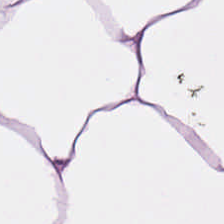H&E-stained tissue section.
Q: What tissue is shown?
A: The field shows adipocytes.
